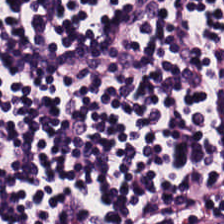H&E-stained tissue section; 20× equivalent magnification; 224×224 pixel tile — Tissue type — lymphocyte aggregate.
